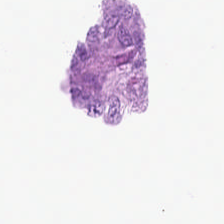{"content": "empty background"}
